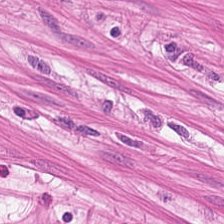H&E · 224×224 px tile — The tissue here is muscularis.
